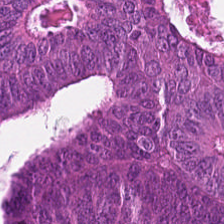224×224 px tile; hematoxylin-and-eosin stained section; 0.5 microns per pixel. Tissue type — colorectal adenocarcinoma.
